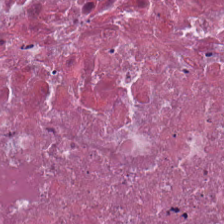H&E stain. Showing cellular debris.
